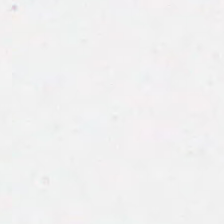Field content: background.
